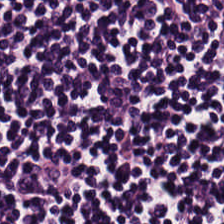Q: What tissue type is shown here?
A: The field shows lymphocytes.
